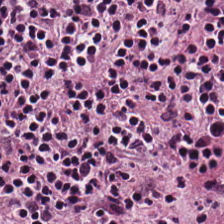Stain: H&E-stained tissue section.
Tile size: 224×224 px patch.
Resolution: 0.5 µm per pixel.
Tissue type: lymphocyte aggregate.
